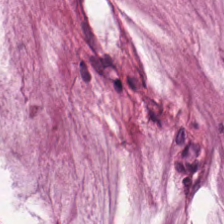Hematoxylin-and-eosin stained section. {"tissue_type": "mucin"}
